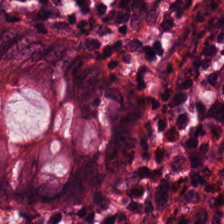Stain: H&E-stained tissue section.
Acquisition: brightfield microscopy.
Resolution: 0.5 µm/px.
Tissue type: non-neoplastic colon mucosa.
